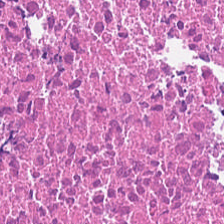FFPE tissue section; 224×224 px patch; hematoxylin-and-eosin stained section. This field is debris.
